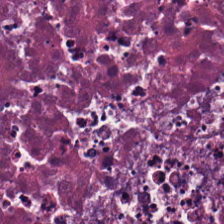H&E. WSI patch. Predominant tissue = cellular debris.
